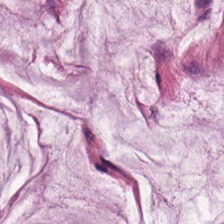H&E. Classification = mucus.
